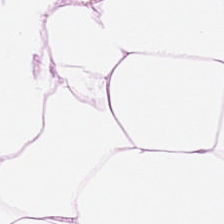Hematoxylin-and-eosin section: adipose.
